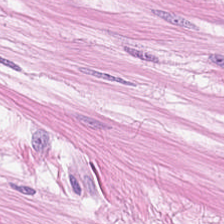Brightfield. Hematoxylin-and-eosin stained section.
The tissue is smooth-muscle tissue.
